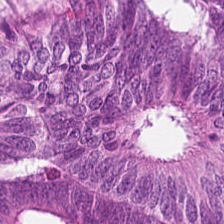Stain: hematoxylin-and-eosin stained section.
Tissue class: malignant epithelium.
